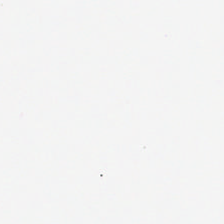Hematoxylin-and-eosin stained section. Content — background.
